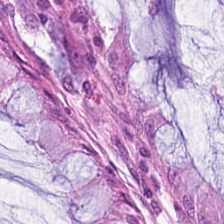H&E-stained tissue section · formalin-fixed paraffin-embedded section. The tissue here is normal colonic mucosa.
